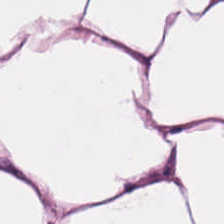Formalin-fixed paraffin-embedded section · whole-slide-image patch · H&E. Predominantly adipose tissue.
